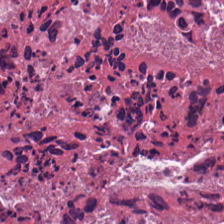H&E. Predominantly cellular debris.
